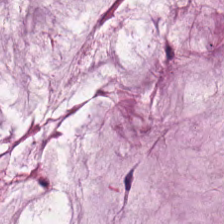H&E-stained tissue section — Showing extracellular mucin.
